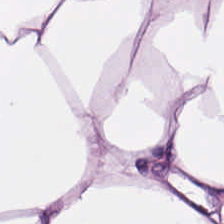H&E patch showing adipose.
